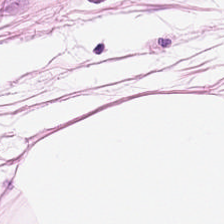H&E-stained tissue section · 224×224 pixel tile · formalin-fixed paraffin-embedded section — Showing adipose tissue.
